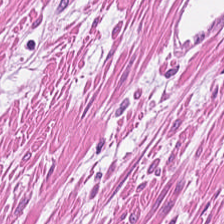Q: What is the predominant tissue type?
A: This is muscularis.
